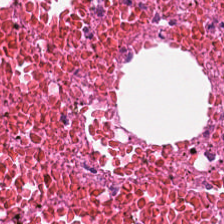Stain: H&E.
Tile size: 224×224 px patch.
Tissue: cellular debris.
